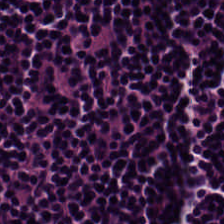Hematoxylin and eosin — Predominantly lymphocytic infiltrate.
